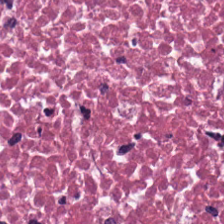The predominant tissue is debris.
